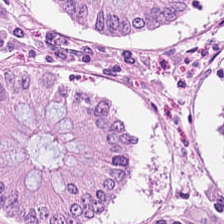Stain: hematoxylin and eosin.
Predominant tissue: normal colonic mucosa.
